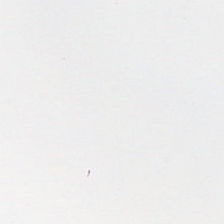H&E. Content: background (no tissue).
